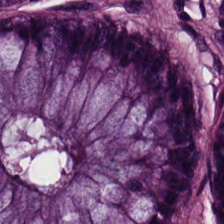Tissue class — normal colon mucosa.
